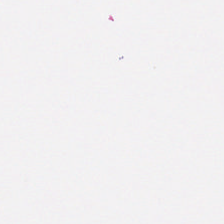224×224 px tile; whole-slide-image patch; H&E.
Showing smooth muscle.
